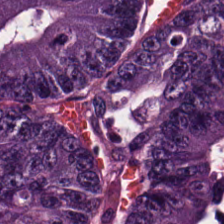H&E patch showing malignant epithelium.
